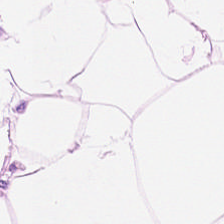H&E-stained tissue section — {"tissue_type": "fat tissue"}
